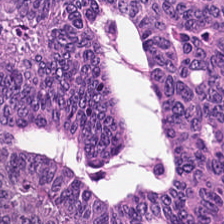Hematoxylin-and-eosin stained section.
This patch shows tumor epithelium.
